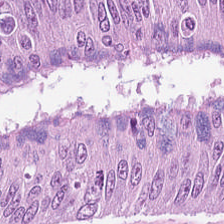H&E. Classification: colorectal adenocarcinoma.
